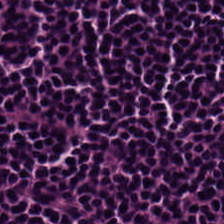Hematoxylin and eosin — Lymphocyte aggregate.
